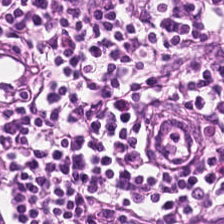Hematoxylin and eosin. Showing lymphoid infiltrate.
